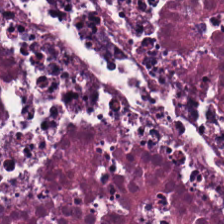Hematoxylin and eosin — Histology — necrotic debris.
